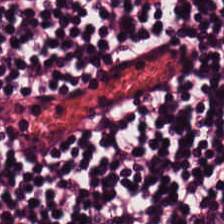Hematoxylin-and-eosin stained section — Tissue class = lymphocytes.
